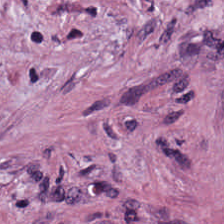Hematoxylin and eosin.
This field is cancer-associated stroma.
